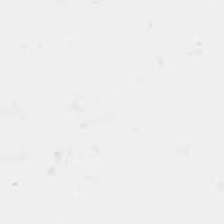H&E-stained tissue section.
Classification: background.
